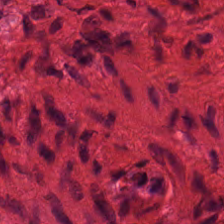20× equivalent magnification; H&E; WSI patch — This patch shows smooth muscle.
